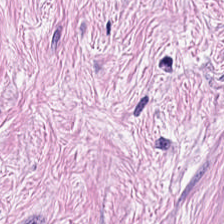H&E — Tissue class: cancer-associated stroma.
